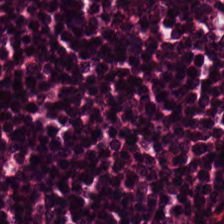Tissue type: lymphoid infiltrate.
